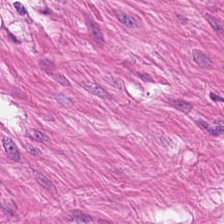The tissue class is smooth-muscle tissue.
